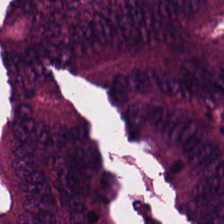Hematoxylin and eosin. 0.5 microns per pixel — Predominantly colorectal adenocarcinoma epithelium.
